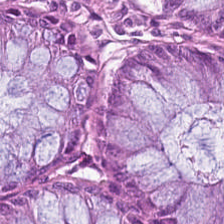20× equivalent magnification. Hematoxylin-and-eosin stained section — Tissue type — benign colonic mucosa.
